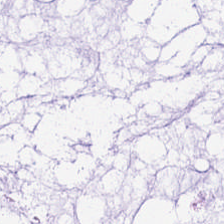Stain: H&E.
Tissue type: mucin.
